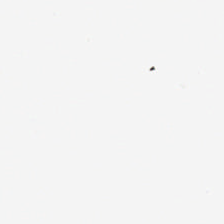Histology → no tissue.
